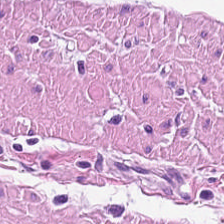Hematoxylin-and-eosin stained section — Q: What is the predominant tissue type?
A: The field shows smooth-muscle tissue.
